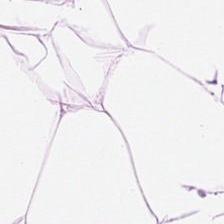H&E — Predominantly adipose tissue.
